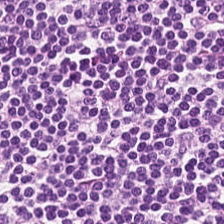H&E-stained tissue section.
This field is lymphocyte aggregate.
